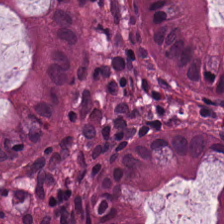Hematoxylin and eosin.
Impression — normal colon mucosa.
